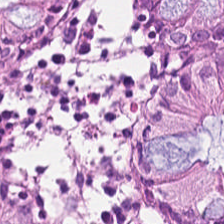Hematoxylin and eosin — {"tissue_type": "normal colonic mucosa"}
